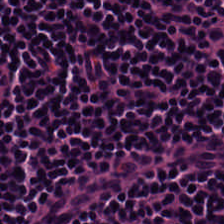Hematoxylin-and-eosin stained section. Finding → lymphocytic infiltrate.
